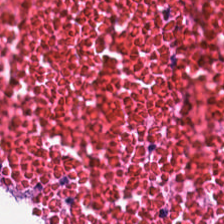H&E-stained tissue section. Necrotic debris.
